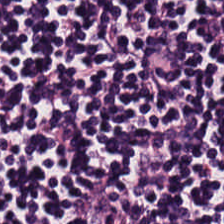Brightfield. 224×224 px patch. Hematoxylin-and-eosin stained section.
Showing lymphocyte aggregate.
